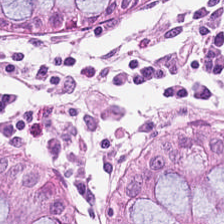Q: Classify this patch.
A: This is non-neoplastic colon mucosa.
